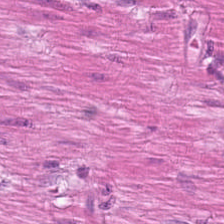Hematoxylin-and-eosin stained section.
Showing smooth-muscle tissue.
